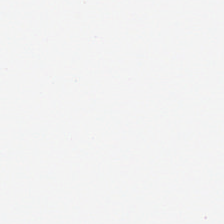H&E stain. 0.5 µm per pixel. No tissue present; background only.
